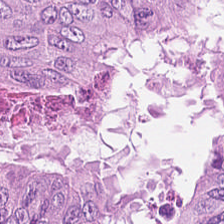H&E-stained tissue section. Predominant tissue — adenocarcinoma.
